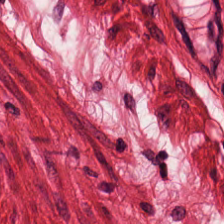FFPE · hematoxylin-and-eosin stained section — The predominant tissue is muscularis.
